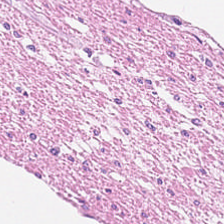Stain: hematoxylin-and-eosin stained section.
Predominant tissue: muscularis.
